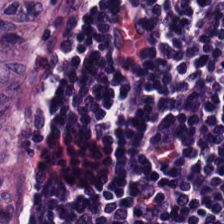Hematoxylin and eosin. Brightfield. 0.5 µm per pixel.
Finding → lymphocytes.
